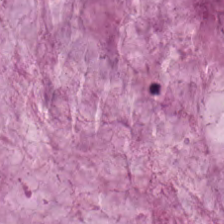Q: What is the predominant tissue type?
A: It is mucus.
